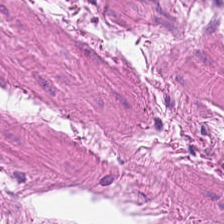Tissue — smooth-muscle tissue.
